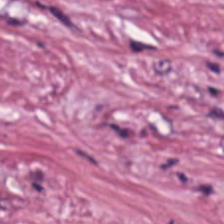The tissue is tumor-associated stroma.
